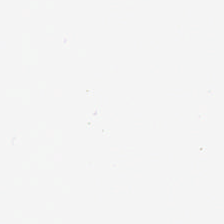FFPE tissue section; H&E stain — No tissue present; background only.
